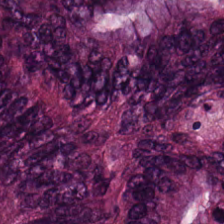Hematoxylin and eosin. Finding → colorectal adenocarcinoma epithelium.
